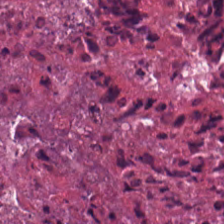H&E-stained tissue section · 0.5 µm per pixel — Q: Identify the tissue.
A: Debris.
